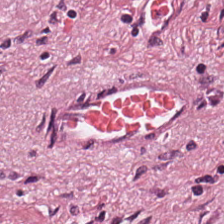The predominant tissue is tumor stroma.
